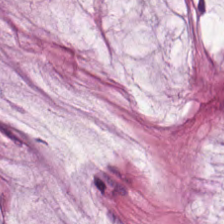Hematoxylin-and-eosin stained section; 0.5 µm per pixel; whole-slide-image patch.
Histology — mucus.
